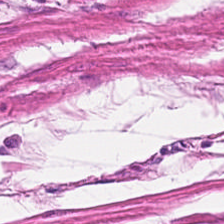Stain: H&E-stained tissue section.
Tile size: 224×224 pixel tile.
Preparation: FFPE.
Tissue: muscularis.
